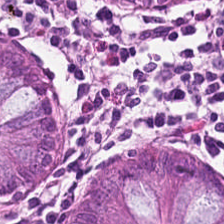FFPE tissue section · whole-slide-image patch · H&E-stained tissue section.
{"tissue_type": "normal colon mucosa"}
